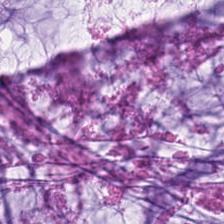224×224 pixel tile · H&E-stained tissue section. Tissue type: mucus.
